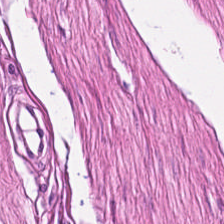H&E-stained tissue section — Predominant tissue: smooth muscle.
